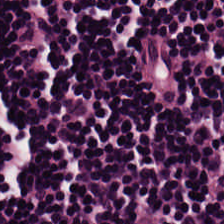H&E-stained tissue section.
Lymphocyte aggregate.
